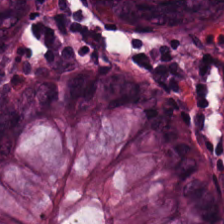Whole-slide-image patch. 224×224 pixel tile. H&E stain. {"tissue_type": "normal colonic mucosa"}
